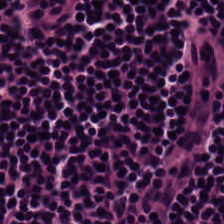Hematoxylin-and-eosin section: lymphoid infiltrate.
